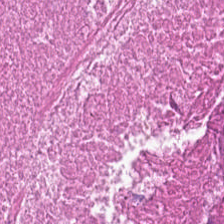H&E.
Showing necrotic debris.
